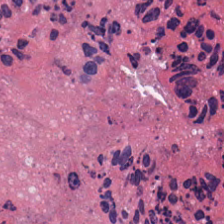Q: What is the predominant tissue type?
A: It is debris.
